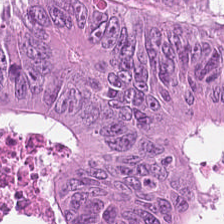224×224 pixel tile; H&E stain; brightfield.
Histology — colorectal adenocarcinoma epithelium.
